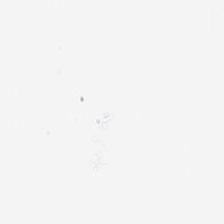Stain: H&E.
Classification: no tissue.
